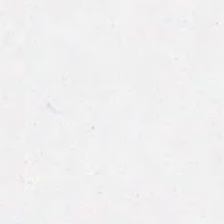0.5 µm/px; H&E.
No tissue present; background only.
